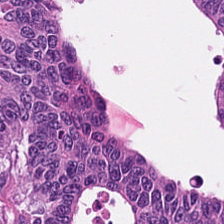Formalin-fixed paraffin-embedded section. 224×224 px tile. H&E.
Predominantly malignant epithelium.
